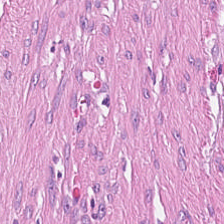Hematoxylin-and-eosin stained section.
{"tissue_type": "desmoplastic stroma"}
